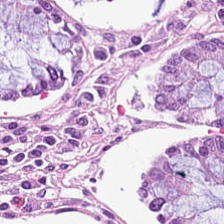Predominant tissue — benign colonic mucosa.
